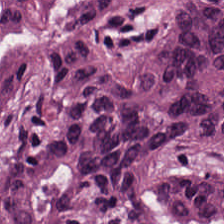H&E stain · 0.5 µm per pixel — Showing colorectal adenocarcinoma.
